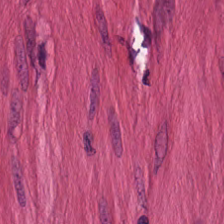H&E stain — Tissue: smooth-muscle tissue.
